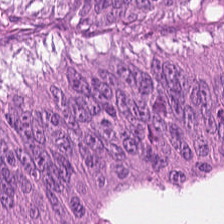Predominantly colorectal adenocarcinoma.
